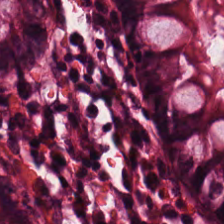Hematoxylin-and-eosin stained section.
This patch shows benign colonic mucosa.
